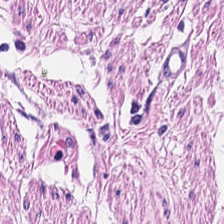Stain: hematoxylin and eosin.
Preparation: FFPE tissue section.
Tile size: 224×224 px tile.
Classification: smooth muscle.
